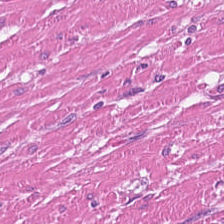Stain: H&E.
Acquisition: whole-slide-image patch.
Tissue type: muscularis.
